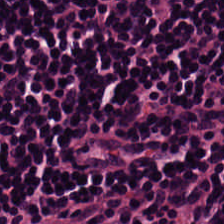H&E. Formalin-fixed paraffin-embedded section. Impression — lymphoid infiltrate.
